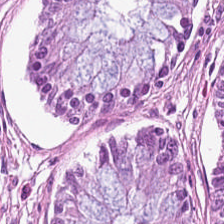Finding → benign colonic mucosa.
